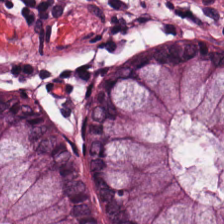Finding — normal colon mucosa.
